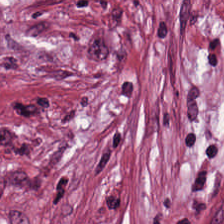The predominant tissue is tumor stroma.
